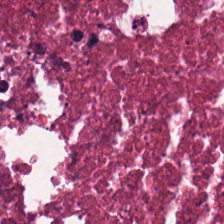The predominant tissue is necrotic debris.
